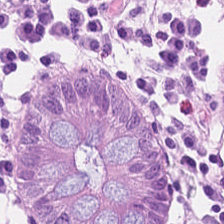Hematoxylin-and-eosin stained section; FFPE.
The tissue here is normal colonic mucosa.
